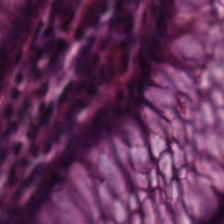{"tissue_type": "normal colonic mucosa"}
